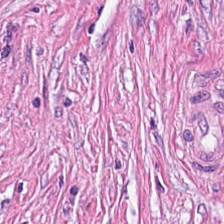H&E-stained tissue section; 224×224 pixel tile. Q: Identify the tissue.
A: The field shows cancer-associated stroma.
